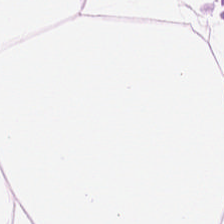Hematoxylin-and-eosin stained section.
Q: Classify this patch.
A: Adipose.
